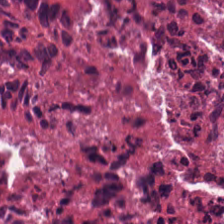Hematoxylin and eosin — This patch shows necrotic debris.
